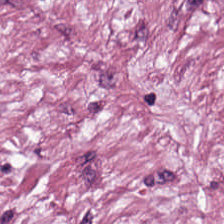H&E-stained tissue section. Showing cancer-associated stroma.
